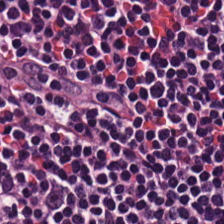This field is lymphocyte aggregate.
